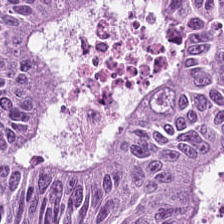H&E stain.
Tissue type: colorectal adenocarcinoma.
